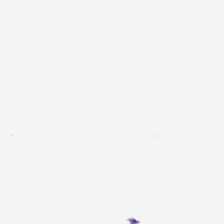Whole-slide-image patch · hematoxylin and eosin · FFPE tissue section — Histology — no tissue.
